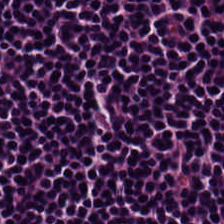Q: What tissue type is shown here?
A: It is lymphocytes.
